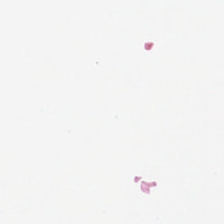Stain: H&E-stained tissue section.
Classification: background (no tissue).
